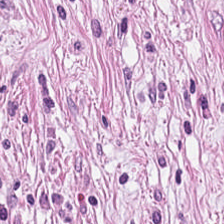Hematoxylin and eosin · 224×224 px tile — Tissue type = cancer-associated stroma.
